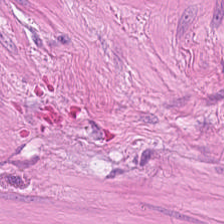Tissue — smooth muscle.
